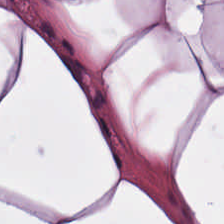Q: Identify the tissue.
A: This is adipose.
